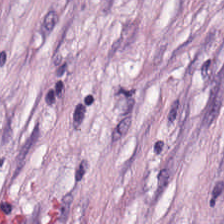H&E — {"tissue_type": "desmoplastic stroma"}
